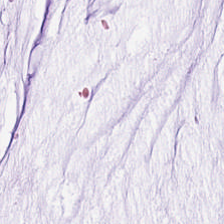Hematoxylin-and-eosin stained section. FFPE.
Showing mucin.
